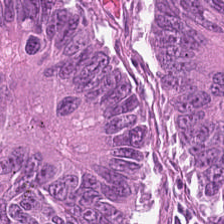Stain: H&E stain.
Predominant tissue: colorectal adenocarcinoma epithelium.
